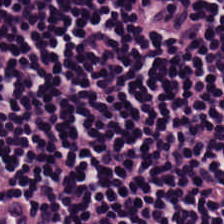H&E-stained tissue section. Q: What is the predominant tissue type?
A: This is lymphocytes.
